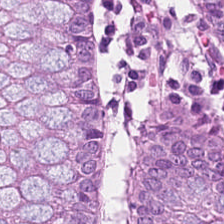Formalin-fixed paraffin-embedded section · H&E stain. Showing benign colonic mucosa.
